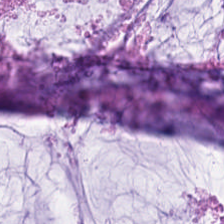H&E stain. Showing extracellular mucin.
